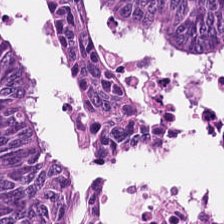H&E-stained tissue section · FFPE tissue section.
Tissue class = adenocarcinoma.
